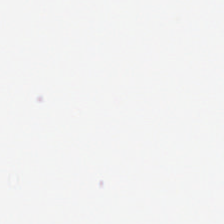H&E. Field content = empty background.
